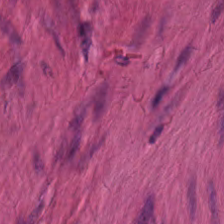Hematoxylin-and-eosin stained section. 224×224 px patch. Tissue type — smooth-muscle tissue.
